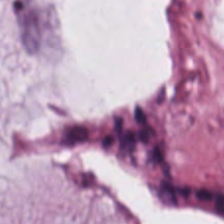Q: Identify the tissue.
A: It is mucus.
